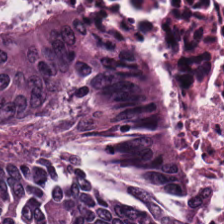H&E.
This field is tumor epithelium.
